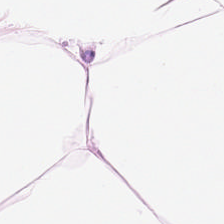20× equivalent magnification; WSI patch; hematoxylin-and-eosin stained section.
Tissue: adipocytes.
